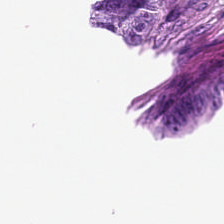This field is background (no tissue).
